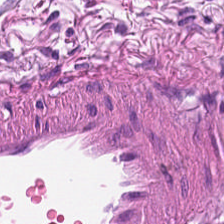H&E — smooth-muscle tissue.
